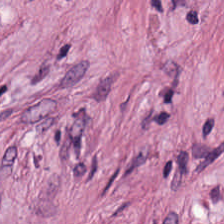Predominant tissue: tumor-associated stroma.
